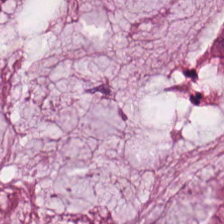Hematoxylin and eosin. Predominantly mucus.
